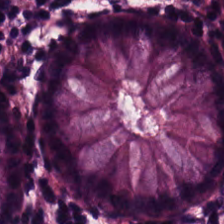H&E-stained tissue section · brightfield microscopy. Tissue: normal colonic mucosa.
